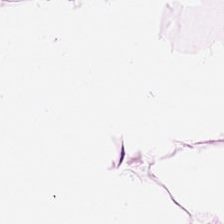H&E stain.
Q: Identify the tissue.
A: Adipose tissue.
